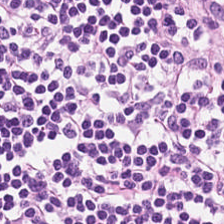Hematoxylin and eosin.
Classification — lymphoid infiltrate.
